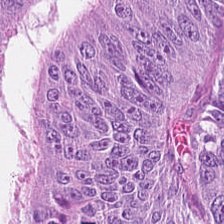H&E. 20× equivalent magnification — Q: What is shown here?
A: This is colorectal adenocarcinoma epithelium.
